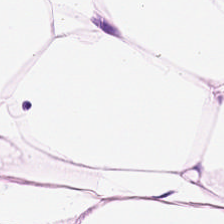The tissue is fat tissue.
